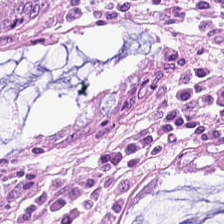H&E-stained tissue section showing benign colonic mucosa.
